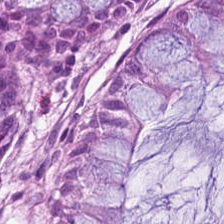{"tissue_type": "benign colonic mucosa"}
